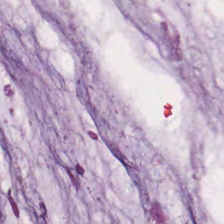Hematoxylin-and-eosin stained section. 224×224 px patch — The tissue here is mucus.
